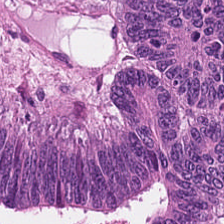H&E · 0.5 microns per pixel · brightfield.
Q: What tissue type is shown here?
A: Colorectal adenocarcinoma.
